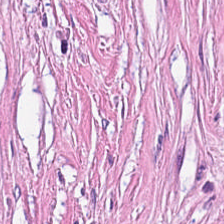H&E stain; 224×224 pixel tile. Q: What tissue type is shown here?
A: This is tumor-associated stroma.
